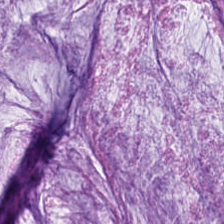Hematoxylin-and-eosin section: extracellular mucin.
